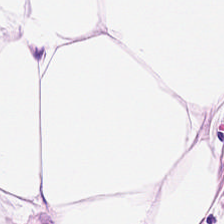H&E; 224×224 px tile; brightfield — Adipocytes.
